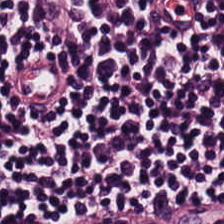224×224 px patch · 0.5 µm/px · hematoxylin-and-eosin stained section — Tissue type = lymphoid infiltrate.
